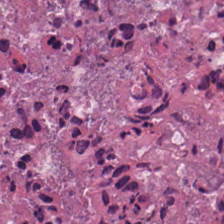H&E-stained tissue section.
Histology → necrotic debris.
